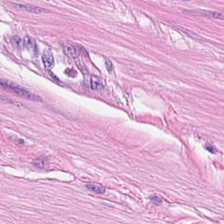Stain: H&E-stained tissue section.
Classification: smooth-muscle tissue.
